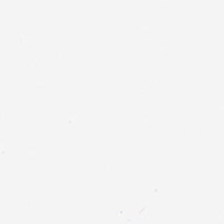Classification: background (no tissue).
